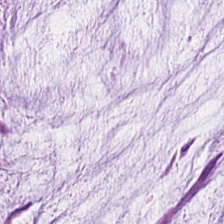Impression — mucus.
